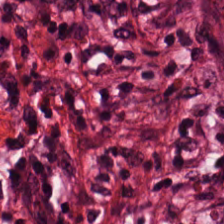Hematoxylin-and-eosin stained section · 0.5 microns per pixel · 224×224 px patch. Q: What does this patch show?
A: This is cancer-associated stroma.
